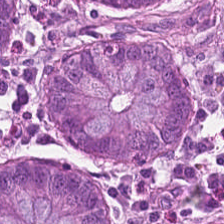Finding — normal colon mucosa.
